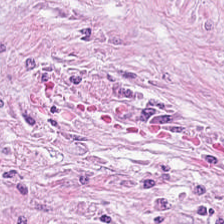Brightfield microscopy. Hematoxylin-and-eosin stained section. Formalin-fixed paraffin-embedded section.
Impression — tumor stroma.
